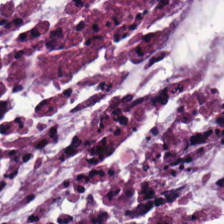Stain: H&E-stained tissue section.
Resolution: 20× equivalent magnification.
Tissue class: mucin.
